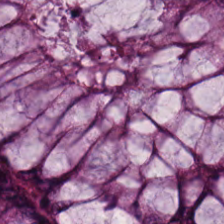Hematoxylin-and-eosin stained section — Tissue type: normal colon mucosa.
